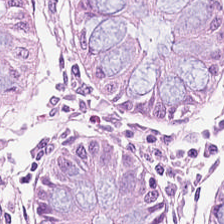H&E-stained tissue section; WSI patch; 0.5 µm/px — {"tissue_type": "benign colonic mucosa"}
